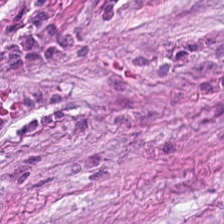Predominantly tumor-associated stroma.
